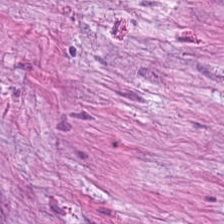224×224 px patch; H&E-stained tissue section.
Histology → cancer-associated stroma.
